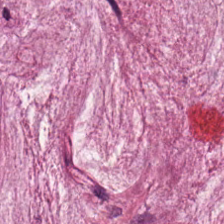Q: Identify the tissue.
A: Mucin.
